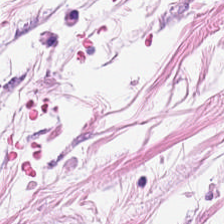Impression → adipose tissue.
